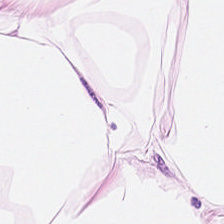Hematoxylin-and-eosin stained section.
Impression — adipose.
